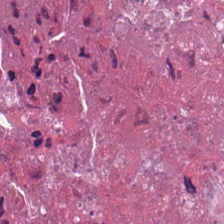Showing debris.
